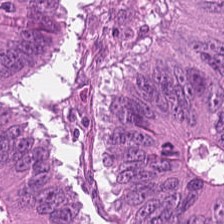Hematoxylin and eosin — Tumor epithelium.
